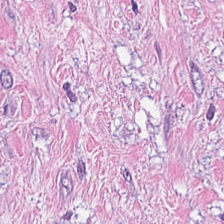Brightfield microscopy · H&E-stained tissue section.
This field is tumor stroma.
